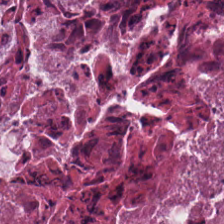{"tissue_type": "cellular debris"}
